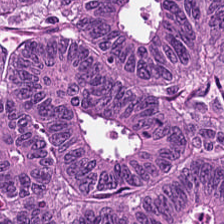Hematoxylin-and-eosin stained section · 20× equivalent magnification — The classification is tumor epithelium.
